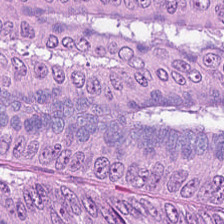224×224 px patch · hematoxylin and eosin · formalin-fixed paraffin-embedded section.
Q: What type of tissue is this?
A: It is colorectal adenocarcinoma epithelium.
